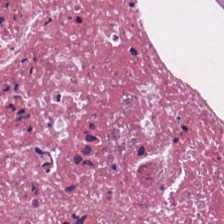H&E-stained tissue section.
Q: Classify this patch.
A: The field shows cellular debris.
